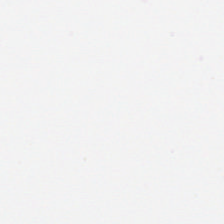H&E stain — {"content": "background"}
